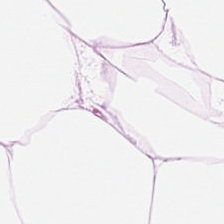Formalin-fixed paraffin-embedded section; H&E; 20× equivalent magnification — Histology → adipocytes.
